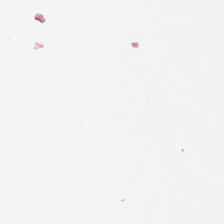H&E stain. Content — background.
